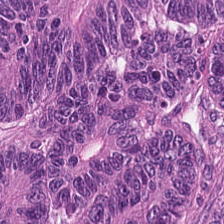Stain: hematoxylin-and-eosin stained section.
Predominant tissue: malignant epithelium.
